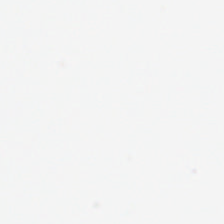Hematoxylin and eosin; brightfield microscopy. Empty background.
